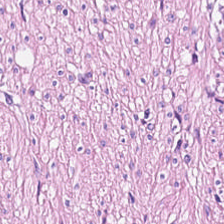H&E stain.
Showing smooth-muscle tissue.
